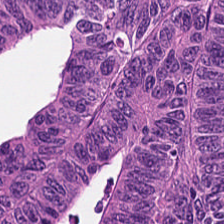Showing colorectal adenocarcinoma epithelium.
